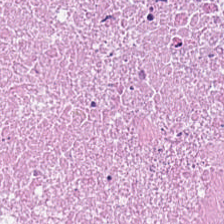H&E stain — This field is debris.
